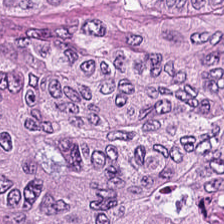Whole-slide-image patch; FFPE tissue section; H&E.
This patch shows malignant epithelium.
